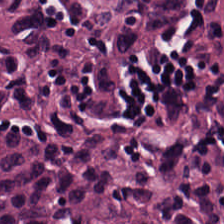224×224 px patch. Hematoxylin and eosin. Brightfield microscopy — The tissue class is lymphoid infiltrate.
